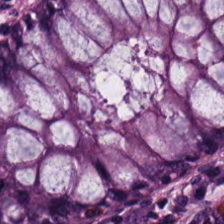H&E. 0.5 µm/px — This patch shows non-neoplastic colon mucosa.
